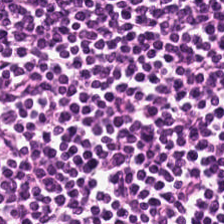Tissue: lymphoid infiltrate.
